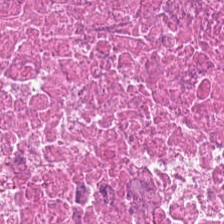224×224 pixel tile; 0.5 µm per pixel; hematoxylin and eosin.
The tissue class is cellular debris.
